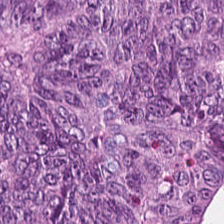Hematoxylin-and-eosin stained section; 0.5 µm/px — Finding → tumor epithelium.
